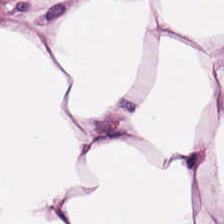{"tissue_type": "adipose"}
